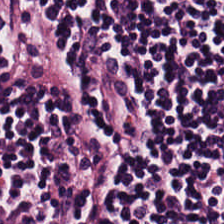Stain: hematoxylin and eosin.
Tissue type: lymphoid infiltrate.
